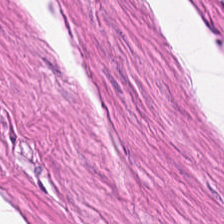FFPE · 0.5 µm/px · hematoxylin-and-eosin stained section — Q: What is shown in this field?
A: The field shows smooth-muscle tissue.
